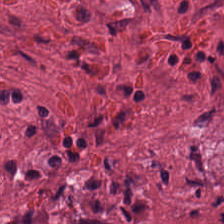Hematoxylin and eosin.
Showing cancer-associated stroma.
